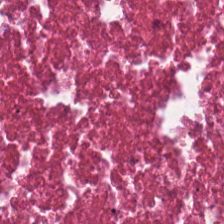Classification — necrotic debris.
